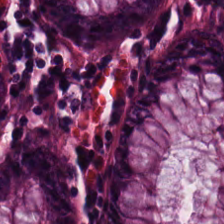H&E stain; 224×224 pixel tile; 0.5 microns per pixel. The predominant tissue is benign colonic mucosa.
